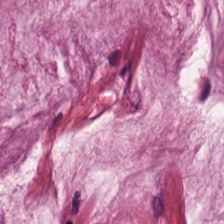Histology → mucin.
